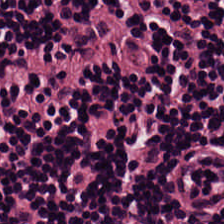0.5 µm per pixel. Hematoxylin-and-eosin stained section. The predominant tissue is lymphocytes.
